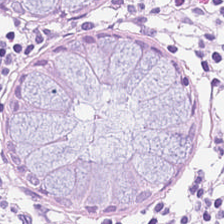H&E stain.
Showing normal colon mucosa.
